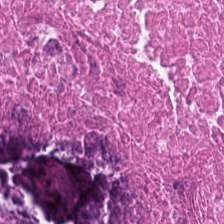WSI patch · H&E-stained tissue section · 0.5 µm/px.
Q: Identify the tissue.
A: This is necrotic debris.
